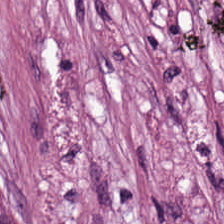{"tissue_type": "desmoplastic stroma"}
